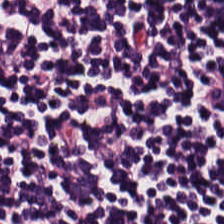H&E stain; 224×224 px patch — This patch shows lymphocytic infiltrate.
